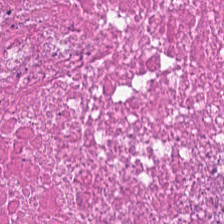H&E stain. This field is necrotic debris.
